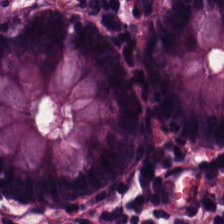Stain: H&E stain.
Tile size: 224×224 pixel tile.
Tissue type: normal colonic mucosa.
